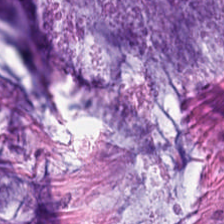Hematoxylin-and-eosin stained section — Tissue: extracellular mucin.
